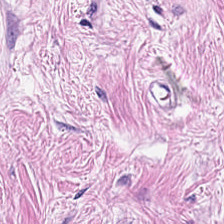H&E-stained tissue section; 224×224 px tile.
Finding → cancer-associated stroma.
